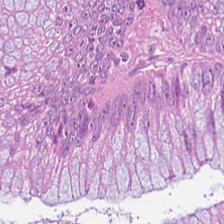H&E stain — Tissue type = adenocarcinoma.
